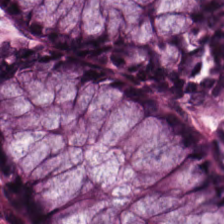H&E stain. This field is non-neoplastic colon mucosa.
